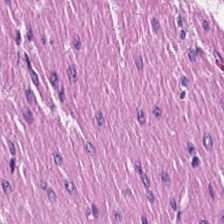Whole-slide-image patch. H&E-stained tissue section.
Q: What does this patch show?
A: The field shows smooth-muscle tissue.
